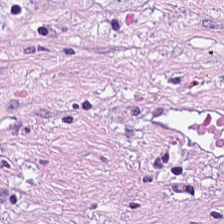FFPE; hematoxylin and eosin; WSI patch. Tissue type = tumor stroma.
